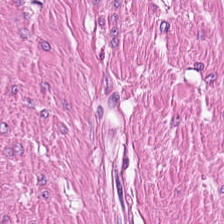H&E — This patch shows smooth muscle.
